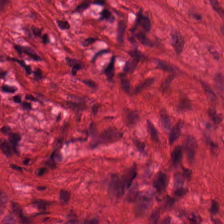H&E. The predominant tissue is muscularis.
